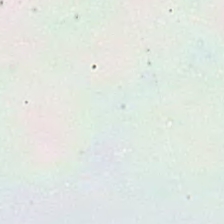H&E.
Empty field — background.
